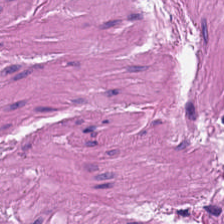224×224 pixel tile. H&E stain.
Classification = smooth muscle.
